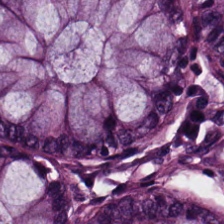FFPE · hematoxylin and eosin.
Predominant tissue: non-neoplastic colon mucosa.
